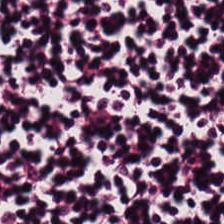Stain: H&E-stained tissue section.
Resolution: 0.5 µm/px.
Tissue type: lymphocyte aggregate.
